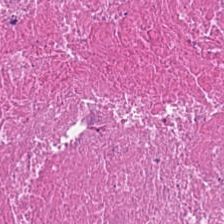Hematoxylin and eosin; whole-slide-image patch; 224×224 px tile. Showing cellular debris.
